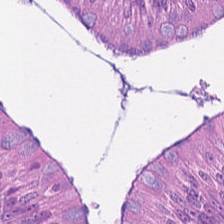Brightfield. Hematoxylin and eosin. 0.5 microns per pixel — The tissue here is colorectal adenocarcinoma epithelium.
